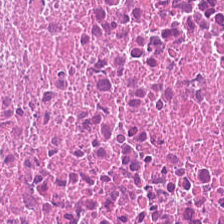H&E · formalin-fixed paraffin-embedded section — Tissue — cellular debris.
